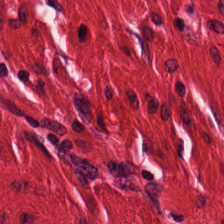The tissue type is smooth muscle.
